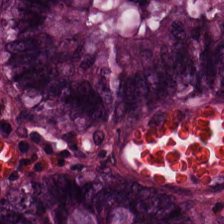The predominant tissue is non-neoplastic colon mucosa.
